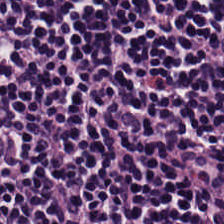Stain: hematoxylin-and-eosin stained section.
Resolution: 0.5 microns per pixel.
Tissue type: lymphocytes.
